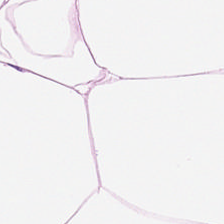H&E-stained tissue section · 0.5 µm per pixel — Tissue type — fat tissue.
